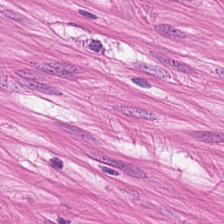Hematoxylin and eosin.
Q: Classify this patch.
A: This is smooth-muscle tissue.
